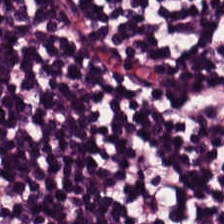Finding → lymphocytes.
